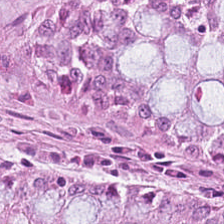Hematoxylin and eosin · formalin-fixed paraffin-embedded section — Classification: benign colonic mucosa.
